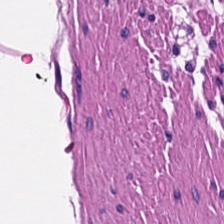224×224 px tile; H&E stain.
Predominantly smooth muscle.
